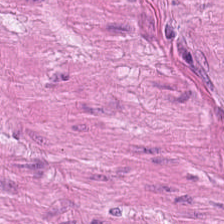{"tissue_type": "smooth muscle"}
